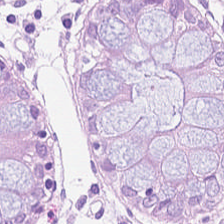Q: What is the predominant tissue type?
A: It is normal colon mucosa.
